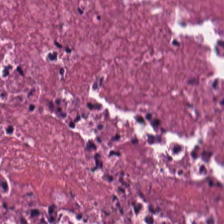H&E-stained tissue section.
Predominant tissue: cellular debris.
